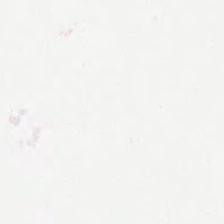Hematoxylin and eosin.
Q: What does this patch show?
A: No tissue.
